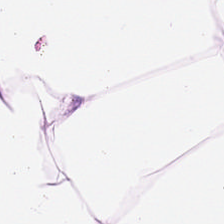0.5 µm/px; 224×224 pixel tile; H&E stain — Finding → adipocytes.
